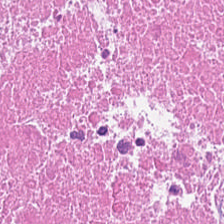Hematoxylin-and-eosin stained section; WSI patch; 224×224 pixel tile. Tissue: necrotic debris.
